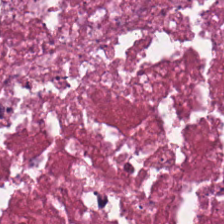Formalin-fixed paraffin-embedded section; hematoxylin and eosin.
Tissue — debris.
